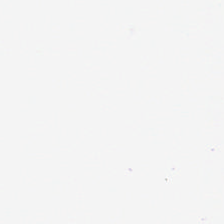H&E-stained tissue section.
Histology — no tissue.
